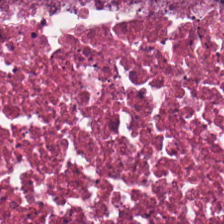224×224 pixel tile. Hematoxylin-and-eosin stained section — Q: What tissue type is shown here?
A: The field shows debris.
